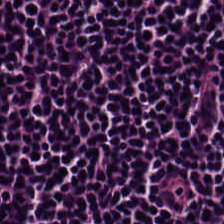Brightfield. H&E stain. 224×224 pixel tile.
{"tissue_type": "lymphocytes"}
